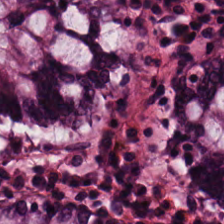H&E-stained tissue section.
This field is normal colon mucosa.
